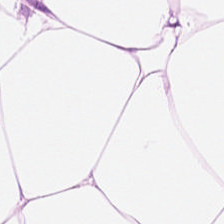0.5 µm per pixel. Hematoxylin and eosin — Predominantly fat tissue.
